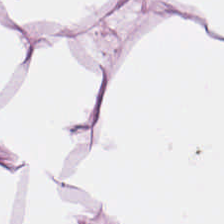Stain: H&E stain.
Preparation: FFPE.
Tissue type: adipose tissue.
